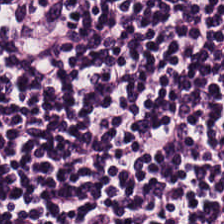Stain: hematoxylin and eosin.
Acquisition: WSI patch.
Tissue class: lymphocytic infiltrate.
